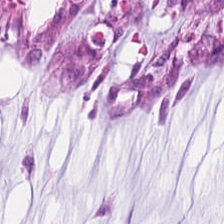This patch shows extracellular mucin.
